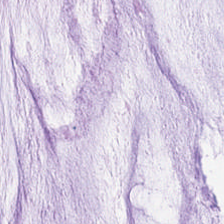H&E stain — The predominant tissue is mucus.
